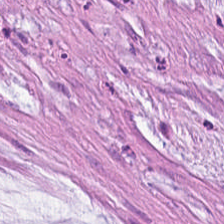H&E-stained tissue section. 224×224 pixel tile — Histology — mucus.
